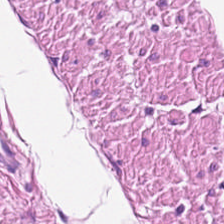WSI patch · H&E. Q: Classify this patch.
A: This is muscularis.
